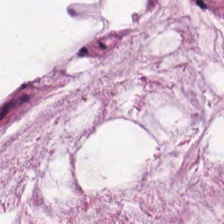Hematoxylin-and-eosin stained section. Classification = mucus.
